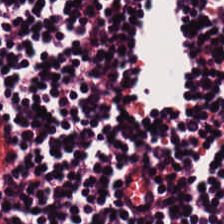Hematoxylin-and-eosin stained section. Tissue type = lymphoid infiltrate.
